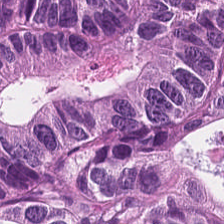H&E.
The tissue class is tumor epithelium.
